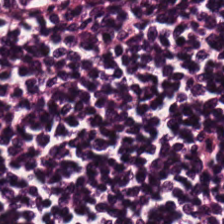20× equivalent magnification · H&E-stained tissue section. Tissue type: lymphocyte aggregate.
